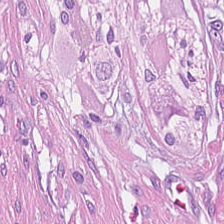H&E — {"tissue_type": "desmoplastic stroma"}
